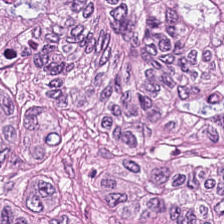H&E-stained tissue section.
Showing malignant epithelium.
